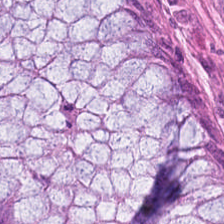224×224 px patch. Hematoxylin and eosin.
Histology → benign colonic mucosa.
